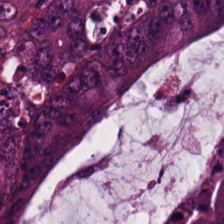Hematoxylin and eosin · FFPE — Q: What tissue is shown?
A: This is malignant epithelium.
